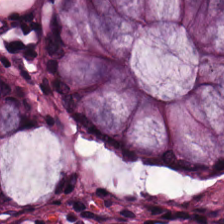{"tissue_type": "normal colonic mucosa"}
